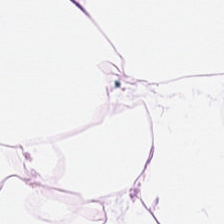The classification is adipose.
